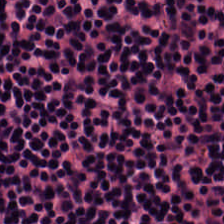H&E-stained tissue section — The tissue here is lymphocyte aggregate.
